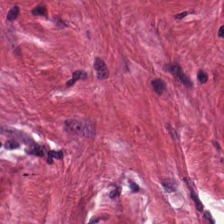Predominant tissue — cancer-associated stroma.
